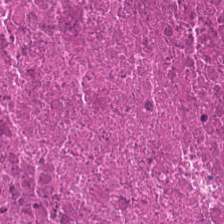224×224 px patch · WSI patch · hematoxylin and eosin. Q: Classify this patch.
A: This is necrotic debris.
